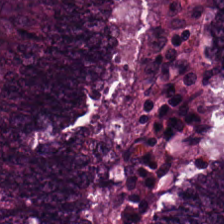This patch shows malignant epithelium.
